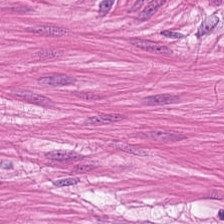Q: What is shown here?
A: The field shows smooth muscle.
